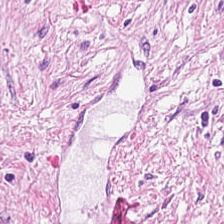Hematoxylin-and-eosin stained section; brightfield microscopy — Q: What tissue type is shown here?
A: Cancer-associated stroma.
